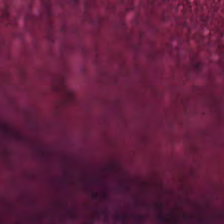The tissue here is necrotic debris.
